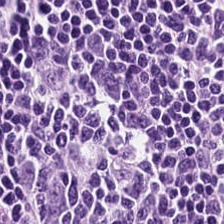224×224 pixel tile · hematoxylin and eosin. Tissue type = lymphoid infiltrate.
